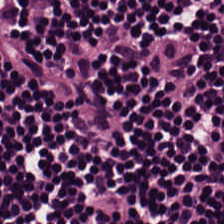Stain: H&E.
Acquisition: brightfield microscopy.
Tissue: lymphoid infiltrate.
